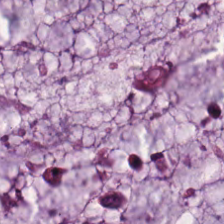Stain: H&E stain.
Tissue: mucin.
